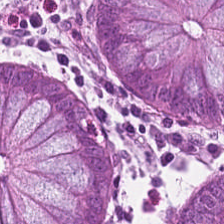H&E-stained tissue section.
Normal colon mucosa.
